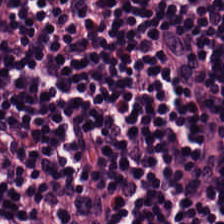Formalin-fixed paraffin-embedded section; H&E stain — Finding — lymphocyte aggregate.
